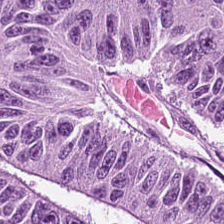Hematoxylin and eosin — Showing malignant epithelium.
